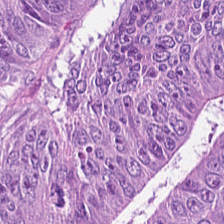H&E stain.
Predominantly malignant epithelium.
